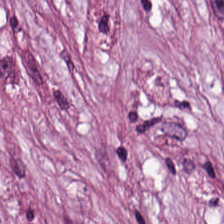H&E-stained tissue section showing desmoplastic stroma.
